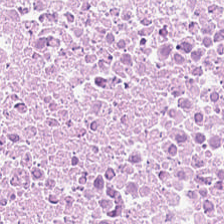H&E stain.
The tissue here is debris.
